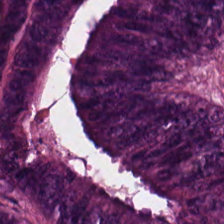Stain: hematoxylin and eosin.
Tissue type: malignant epithelium.
